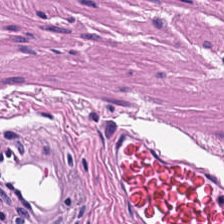H&E.
This patch shows muscularis.
